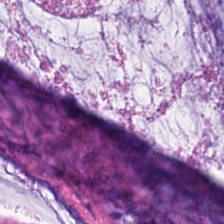Stain: H&E-stained tissue section.
Tile size: 224×224 px tile.
Predominant tissue: extracellular mucin.
